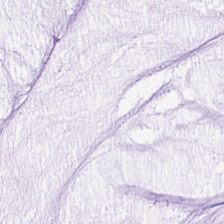Stain: H&E stain.
Tile size: 224×224 px patch.
Predominant tissue: mucus.
